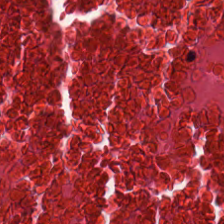H&E stain; 224×224 px tile; 0.5 µm per pixel — Predominant tissue: necrotic debris.
